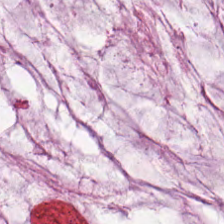Formalin-fixed paraffin-embedded section; H&E — This patch shows extracellular mucin.
